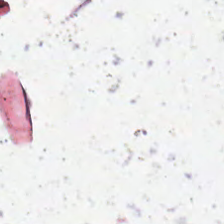H&E.
The classification is background (no tissue).
